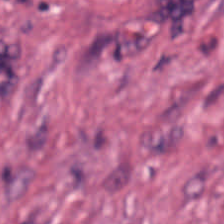H&E-stained tissue section. 0.5 microns per pixel — Tissue type = tumor-associated stroma.
